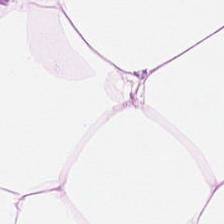The classification is adipose tissue.
